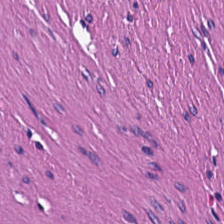Hematoxylin and eosin; 224×224 px patch.
{"tissue_type": "muscularis"}
